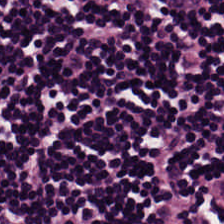Tissue type — lymphocyte aggregate.
